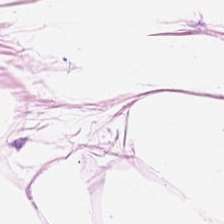H&E; WSI patch; formalin-fixed paraffin-embedded section — {"tissue_type": "adipose tissue"}
